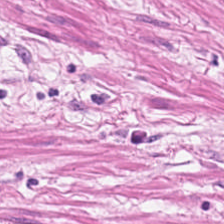FFPE. 0.5 µm per pixel. Hematoxylin-and-eosin stained section — Q: What type of tissue is this?
A: This is smooth muscle.
